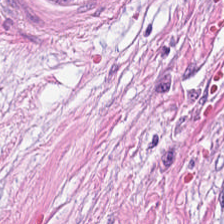Stain: hematoxylin-and-eosin stained section.
Tissue type: tumor stroma.
